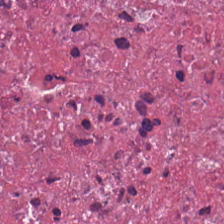H&E-stained tissue section.
The tissue type is debris.
